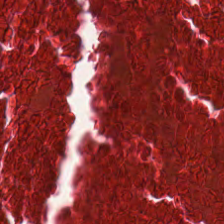Hematoxylin-and-eosin stained section. {"tissue_type": "cellular debris"}
